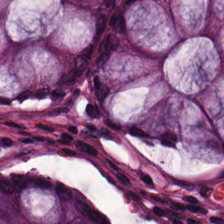Whole-slide-image patch · 0.5 µm/px · hematoxylin-and-eosin stained section.
Q: What type of tissue is this?
A: The field shows non-neoplastic colon mucosa.
